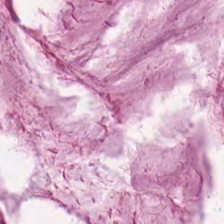0.5 µm per pixel. H&E stain. Brightfield — Histology — mucus.
